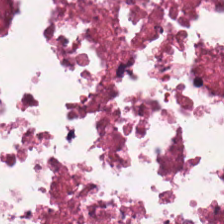Whole-slide-image patch; H&E stain.
{"tissue_type": "necrotic debris"}
